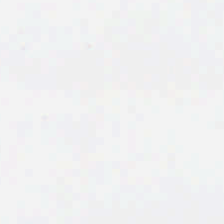224×224 px patch; H&E-stained tissue section. This patch shows background.
